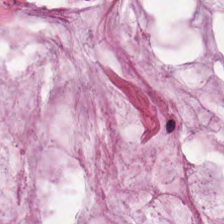20× equivalent magnification; FFPE tissue section; hematoxylin-and-eosin stained section. Predominantly mucin.
